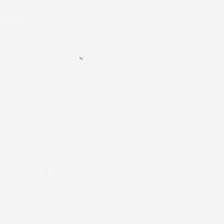Hematoxylin and eosin — This patch shows background (no tissue).
